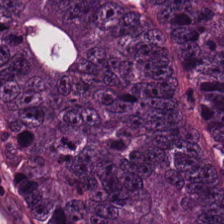Tissue: colorectal adenocarcinoma.
